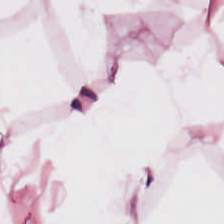Showing adipose.
